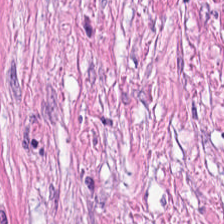FFPE tissue section. 224×224 pixel tile. H&E stain. Q: What is shown here?
A: Desmoplastic stroma.
